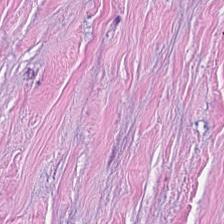Stain: H&E.
Acquisition: whole-slide-image patch.
Tile size: 224×224 px patch.
Tissue: tumor stroma.
